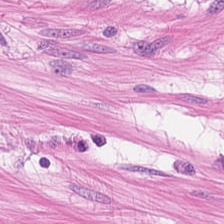H&E stain · 0.5 microns per pixel.
This field is smooth-muscle tissue.
